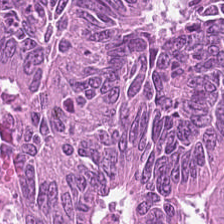H&E-stained tissue section — Predominantly malignant epithelium.
